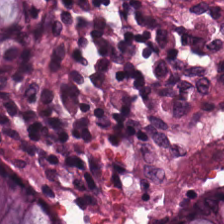Predominant tissue = non-neoplastic colon mucosa.
